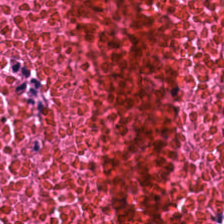0.5 microns per pixel · whole-slide-image patch · H&E. Finding → cellular debris.
